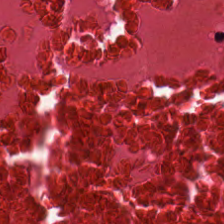0.5 microns per pixel; hematoxylin-and-eosin stained section.
This field is debris.
